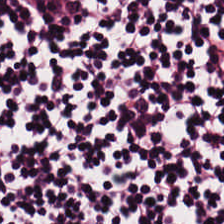Formalin-fixed paraffin-embedded section. Hematoxylin and eosin. Tissue: lymphocytes.
